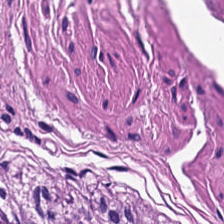Finding → smooth-muscle tissue.
